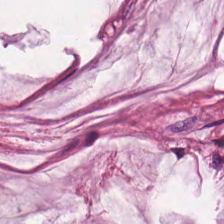H&E stain. Predominantly mucin.
